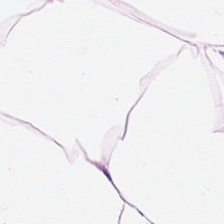Predominant tissue = adipose.
